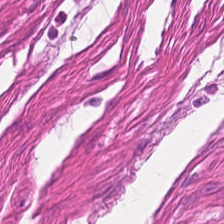Tissue class — smooth-muscle tissue.
